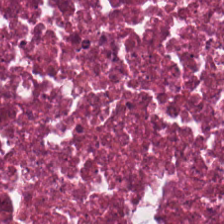Q: What tissue is shown?
A: Debris.
